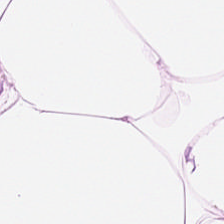H&E-stained tissue section · 224×224 px tile — The predominant tissue is adipose.
